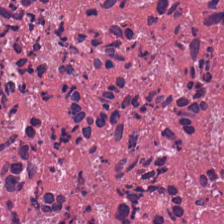This field is necrotic debris.
